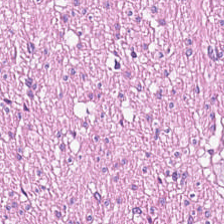Tissue: muscularis.
